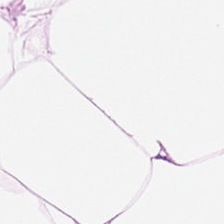H&E stain — The tissue is fat tissue.
